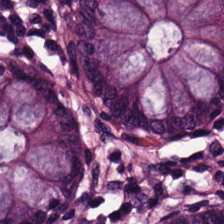H&E-stained tissue section. Tissue — benign colonic mucosa.
